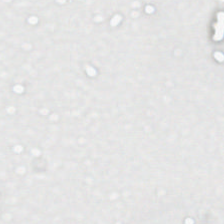H&E stain; 224×224 px patch — Finding — background.
